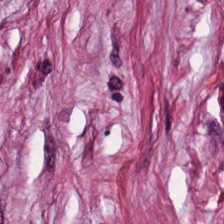H&E-stained tissue section · FFPE tissue section · 224×224 pixel tile.
Impression — tumor-associated stroma.
